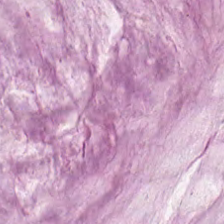Stain: H&E stain.
Classification: mucin.
